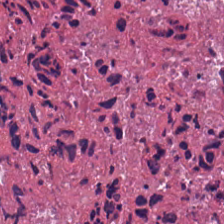Formalin-fixed paraffin-embedded section. Hematoxylin and eosin. 224×224 px tile — Q: What tissue type is shown here?
A: This is necrotic debris.
